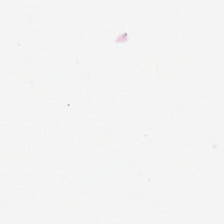H&E · 224×224 pixel tile.
Field content = background.
